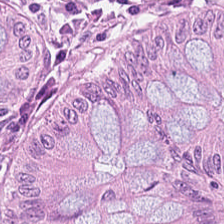Hematoxylin-and-eosin stained section — Finding — normal colon mucosa.
